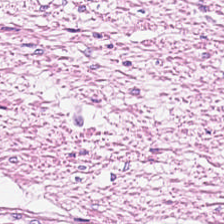Stain: hematoxylin-and-eosin stained section.
Classification: muscularis.
